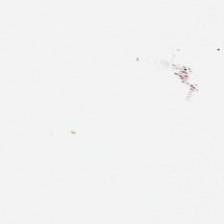H&E stain. No tissue present; background only.
